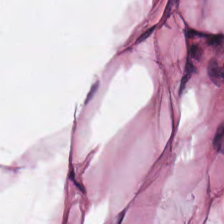Brightfield · formalin-fixed paraffin-embedded section · H&E stain. Showing adipose.
